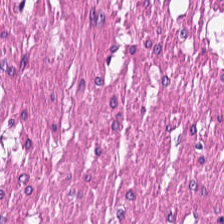FFPE · hematoxylin and eosin. Histology — smooth-muscle tissue.
